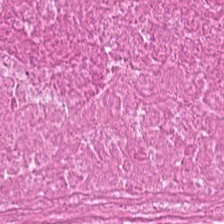H&E-stained tissue section — Predominantly necrotic debris.
